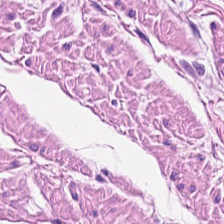H&E. This field is smooth-muscle tissue.
